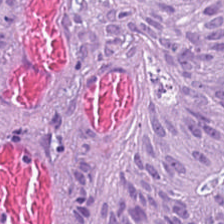0.5 microns per pixel · formalin-fixed paraffin-embedded section · hematoxylin-and-eosin stained section — Histology → malignant epithelium.
